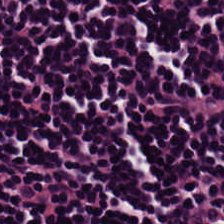0.5 µm/px · H&E-stained tissue section · FFPE.
Showing lymphocytic infiltrate.
